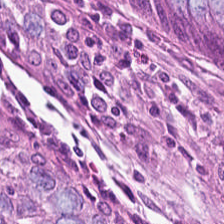224×224 px patch. H&E-stained tissue section. Brightfield. The tissue here is normal colonic mucosa.
